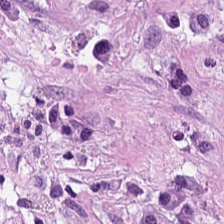Formalin-fixed paraffin-embedded section; 0.5 µm per pixel; H&E stain.
This patch shows tumor-associated stroma.
